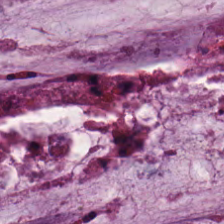H&E.
The classification is mucin.
